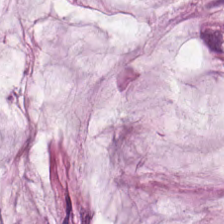H&E — Mucin.
